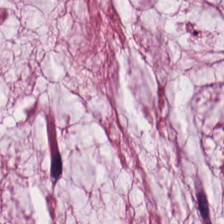Hematoxylin and eosin. 20× equivalent magnification.
Q: What tissue type is shown here?
A: This is mucin.
